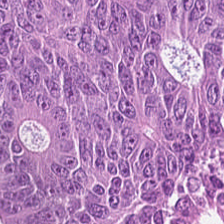H&E stain — This field is colorectal adenocarcinoma.
